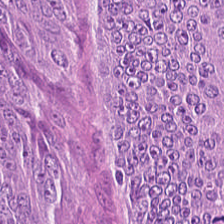Whole-slide-image patch. 224×224 pixel tile. H&E.
Showing tumor epithelium.
